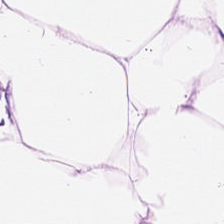Tissue class — adipose.
